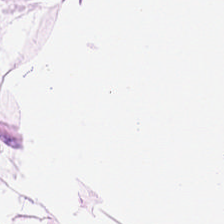Tissue type — adipocytes.
